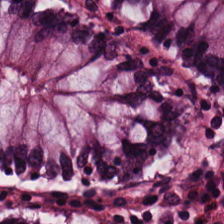Hematoxylin and eosin. Showing non-neoplastic colon mucosa.
